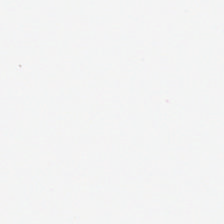H&E. Empty field — no tissue.
